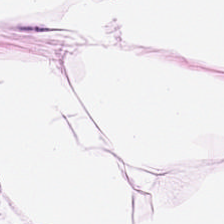0.5 µm/px; H&E-stained tissue section; formalin-fixed paraffin-embedded section.
Tissue type = adipose.
